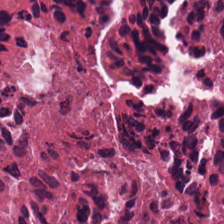Predominant tissue = necrotic debris.
